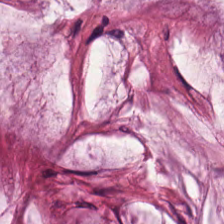Hematoxylin and eosin — This field is mucus.
